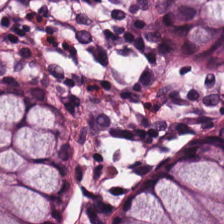The predominant tissue is normal colonic mucosa.
